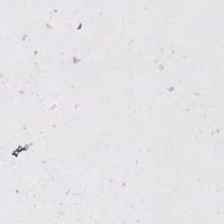Empty field — background.
